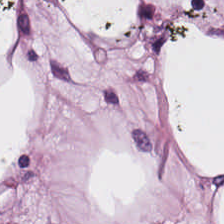Hematoxylin and eosin — This patch shows adipocytes.
